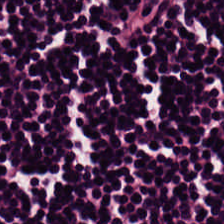Lymphocyte aggregate.
